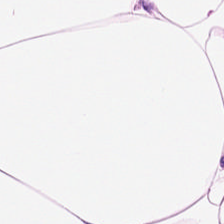Hematoxylin-and-eosin stained section. Impression — adipose.
